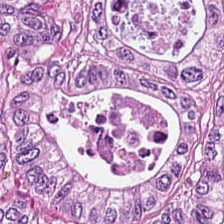Whole-slide-image patch; hematoxylin-and-eosin stained section. Finding → colorectal adenocarcinoma.
